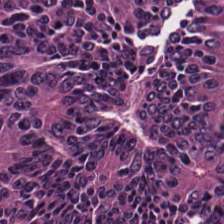The predominant tissue is malignant epithelium.
